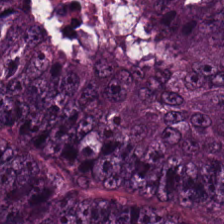WSI patch; H&E; 224×224 pixel tile — This patch shows adenocarcinoma.
